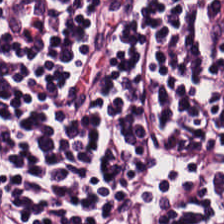Hematoxylin-and-eosin stained section — Predominantly lymphoid infiltrate.
